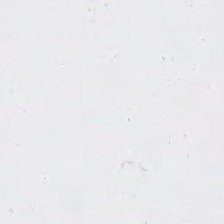FFPE tissue section · hematoxylin-and-eosin stained section.
Background (no tissue).
